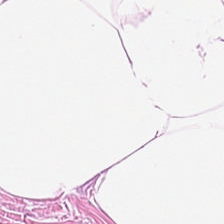H&E patch showing adipose tissue.
